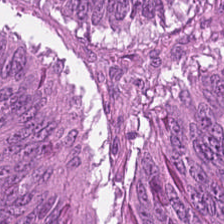Hematoxylin-and-eosin stained section. 224×224 px patch.
The classification is colorectal adenocarcinoma.
